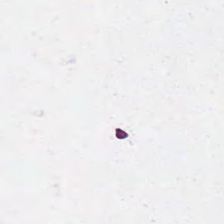0.5 microns per pixel · H&E stain — Finding → empty background.
